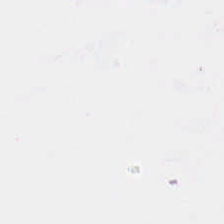H&E-stained tissue section. The classification is background (no tissue).
